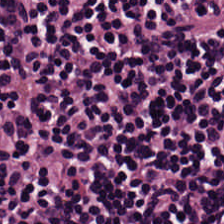Tissue type — lymphocytic infiltrate.
